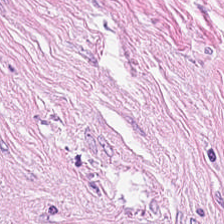Hematoxylin and eosin. FFPE.
Tissue: desmoplastic stroma.
